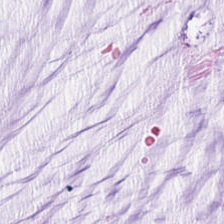H&E. Predominantly mucus.
